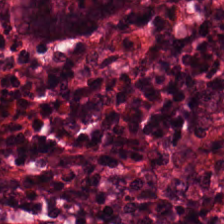H&E-stained tissue section. Q: What does this patch show?
A: The field shows benign colonic mucosa.
